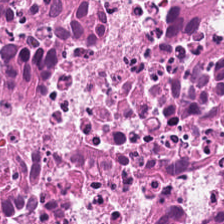Stain: hematoxylin and eosin.
Acquisition: brightfield.
Tile size: 224×224 px tile.
Tissue: debris.
